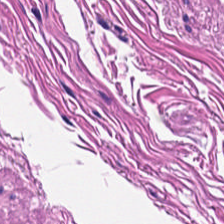WSI patch · H&E · formalin-fixed paraffin-embedded section — The predominant tissue is smooth-muscle tissue.
